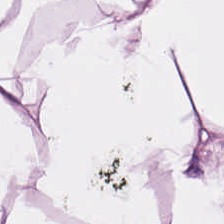The classification is adipose.
